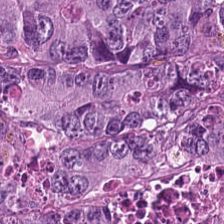Hematoxylin-and-eosin stained section.
Classification: tumor epithelium.
